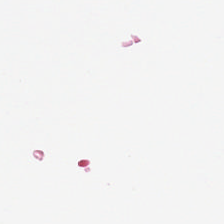Stain: hematoxylin and eosin.
Field content: empty background.
